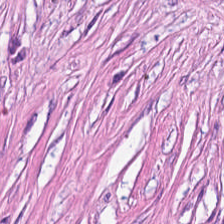H&E. Predominant tissue: tumor-associated stroma.
